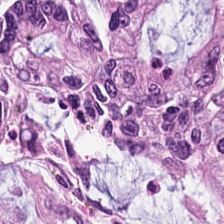FFPE; 224×224 px tile; hematoxylin and eosin — Tissue class — tumor epithelium.
